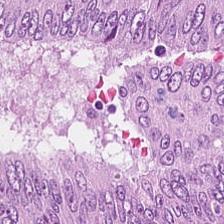Hematoxylin and eosin.
Q: Classify this patch.
A: This is colorectal adenocarcinoma epithelium.
